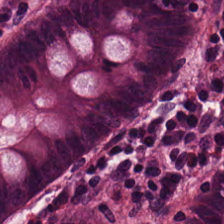Stain: H&E.
Tissue class: normal colon mucosa.
